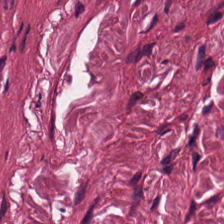{"tissue_type": "tumor stroma"}
